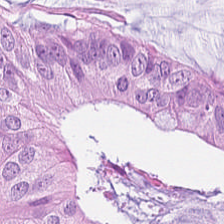H&E-stained tissue section. Predominantly malignant epithelium.
